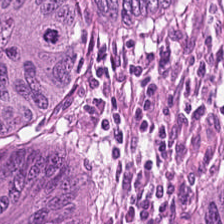H&E. 0.5 µm/px — This field is tumor epithelium.
